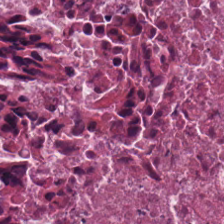The classification is cellular debris.
